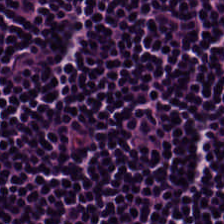224×224 pixel tile · H&E stain.
This patch shows lymphocytic infiltrate.
